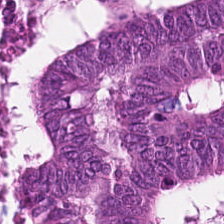Brightfield microscopy · H&E — Q: What does this patch show?
A: Colorectal adenocarcinoma epithelium.
